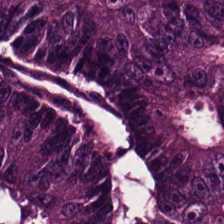Formalin-fixed paraffin-embedded section. H&E stain. 224×224 pixel tile. Finding → malignant epithelium.
